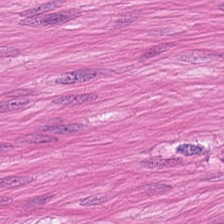Tissue class — smooth muscle.
